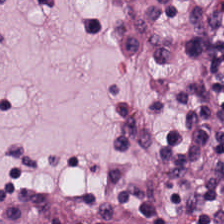Hematoxylin-and-eosin stained section — Impression → lymphoid infiltrate.
